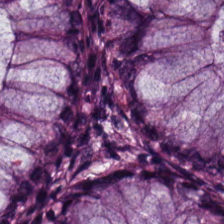Hematoxylin and eosin. The tissue is non-neoplastic colon mucosa.
